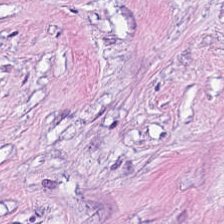Stain: hematoxylin and eosin.
Tissue class: tumor stroma.
